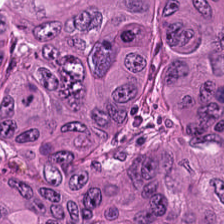Finding — colorectal adenocarcinoma epithelium.
